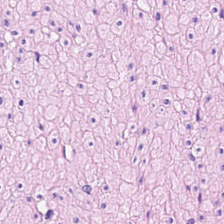The classification is muscularis.
